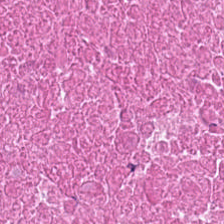0.5 µm/px; hematoxylin and eosin; 224×224 pixel tile.
Finding → debris.
